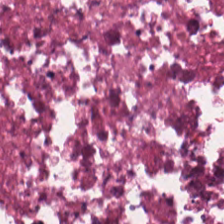H&E — Q: What tissue is shown?
A: This is necrotic debris.
